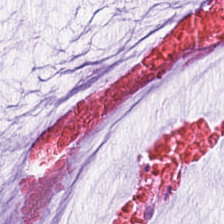Stain: H&E.
Acquisition: brightfield microscopy.
Tissue class: mucin.
